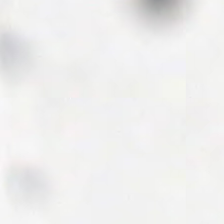Field content: no tissue.
